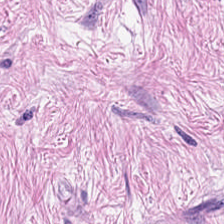H&E-stained tissue section. FFPE.
The tissue here is desmoplastic stroma.
